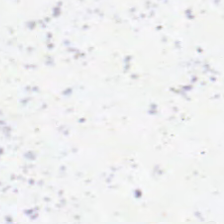Hematoxylin and eosin.
Empty field — no tissue.
